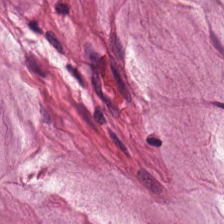Hematoxylin-and-eosin stained section. Tissue class — extracellular mucin.
